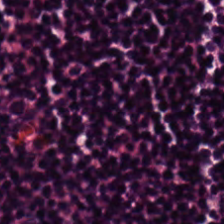Brightfield; 0.5 µm per pixel; H&E-stained tissue section. Classification = lymphocytic infiltrate.
